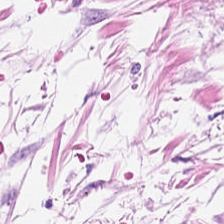Hematoxylin and eosin. Tissue: adipose.
